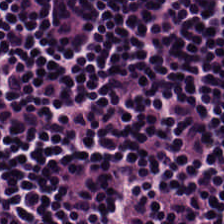H&E-stained section; the field shows lymphocytic infiltrate.
